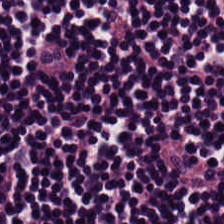H&E-stained tissue section; FFPE tissue section — Q: What does this patch show?
A: The field shows lymphocytic infiltrate.
